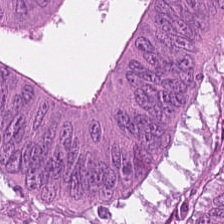H&E stain.
Showing colorectal adenocarcinoma.
